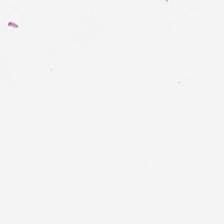0.5 µm per pixel · formalin-fixed paraffin-embedded section · H&E-stained tissue section. Background — no tissue in this field.
